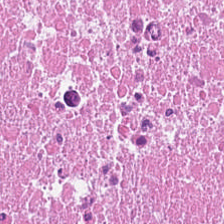Hematoxylin and eosin — Q: What tissue type is shown here?
A: The field shows debris.
